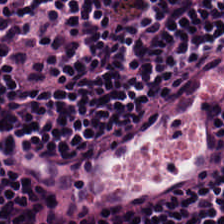H&E-stained tissue section.
Tissue class = lymphocytes.
